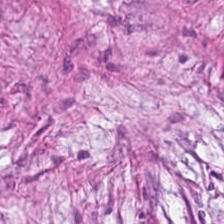Hematoxylin-and-eosin stained section.
{"tissue_type": "desmoplastic stroma"}
